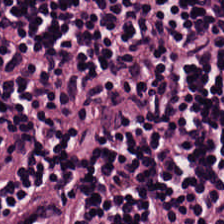H&E-stained tissue section; formalin-fixed paraffin-embedded section — The tissue here is lymphocyte aggregate.
